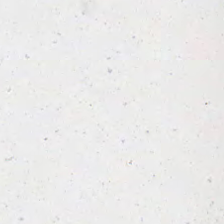Hematoxylin-and-eosin stained section. 0.5 µm per pixel. {"content": "background (no tissue)"}
